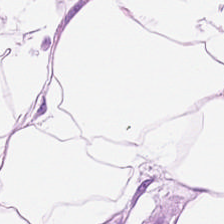H&E stain; brightfield; 224×224 px tile. Q: Identify the tissue.
A: Adipose tissue.
